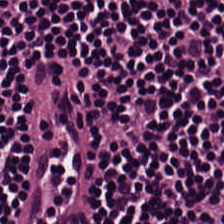Stain: H&E.
Tissue type: lymphoid infiltrate.
